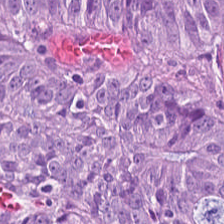H&E.
Finding → malignant epithelium.
